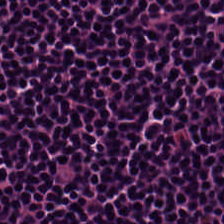H&E stain. This field is lymphocytic infiltrate.
